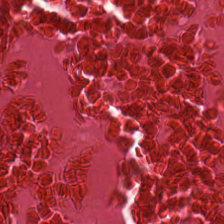Classification: necrotic debris.
